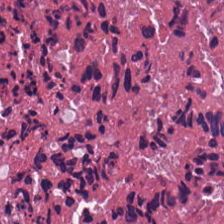Stain: H&E-stained tissue section.
Preparation: FFPE tissue section.
Tissue: debris.
